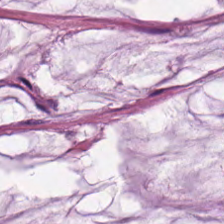H&E stain. FFPE tissue section.
Q: What is shown in this field?
A: This is mucin.
